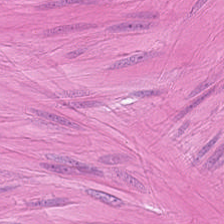Tissue class: muscularis.
